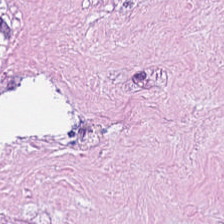H&E stain.
Finding — debris.
